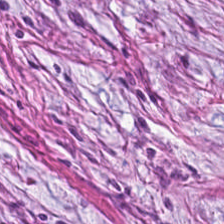0.5 µm/px; formalin-fixed paraffin-embedded section; H&E-stained tissue section.
The tissue here is desmoplastic stroma.
